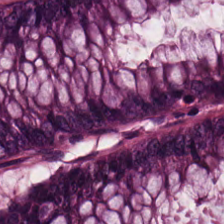0.5 µm per pixel · H&E-stained tissue section — Showing non-neoplastic colon mucosa.
